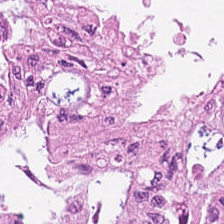Tumor epithelium.
